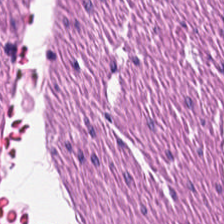H&E stain — Histology → smooth muscle.
